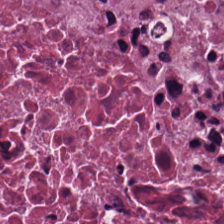Hematoxylin and eosin. Showing debris.
